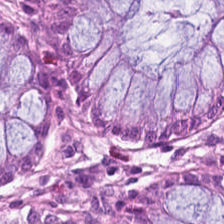H&E — normal colon mucosa.
